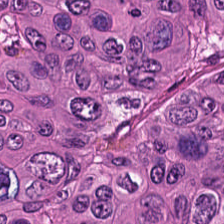WSI patch. H&E. 0.5 µm/px — Predominant tissue: tumor epithelium.
